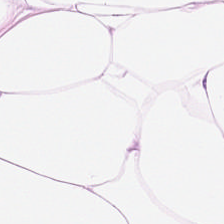FFPE tissue section; H&E-stained tissue section.
Tissue class — adipocytes.
